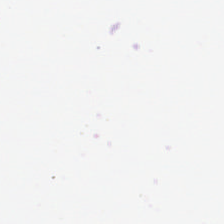Formalin-fixed paraffin-embedded section · hematoxylin and eosin · 224×224 pixel tile.
Q: What is shown in this field?
A: The field shows background.
